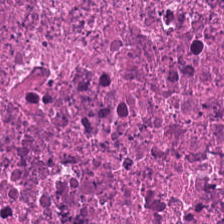H&E-stained tissue section; brightfield microscopy.
Histology → debris.
